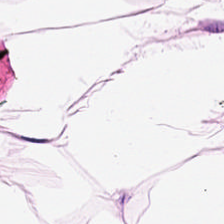Stain: hematoxylin-and-eosin stained section.
Tile size: 224×224 pixel tile.
Resolution: 20× equivalent magnification.
Predominant tissue: fat tissue.
